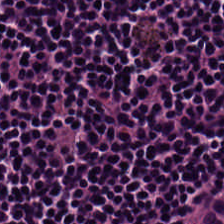H&E-stained tissue section. The tissue here is lymphocytic infiltrate.
